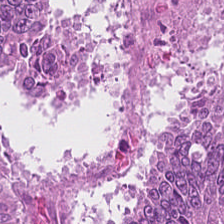H&E-stained tissue section — Q: Classify this patch.
A: Tumor epithelium.
